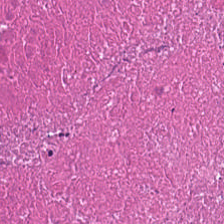Hematoxylin-and-eosin stained section — The tissue is debris.
